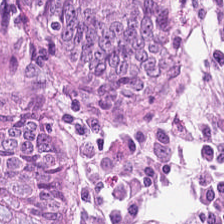WSI patch. H&E-stained tissue section. Predominant tissue = normal colon mucosa.
